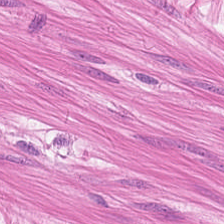Hematoxylin-and-eosin section: muscularis.
